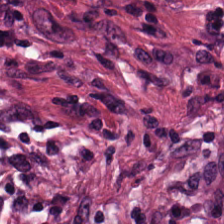0.5 µm/px · hematoxylin and eosin · FFPE tissue section. Q: What does this patch show?
A: This is tumor-associated stroma.
